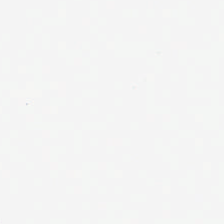Content = background.
